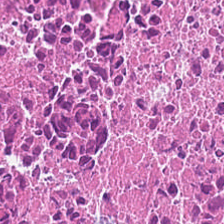224×224 px tile · H&E-stained tissue section. Tissue: cellular debris.
